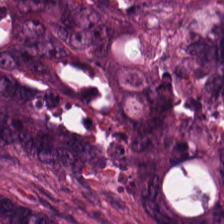Tissue class — adenocarcinoma.
